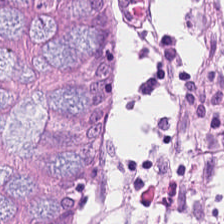H&E. Histology → non-neoplastic colon mucosa.
